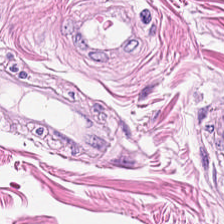This field is smooth muscle.
